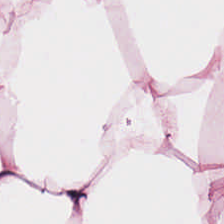Brightfield · hematoxylin-and-eosin stained section. Tissue — adipocytes.
